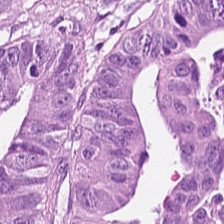H&E stain — Impression — tumor epithelium.
